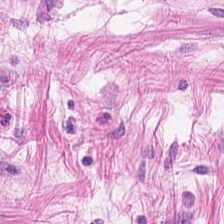0.5 µm per pixel; H&E-stained tissue section; brightfield.
Q: Identify the tissue.
A: It is smooth muscle.
